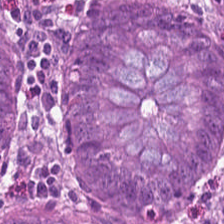Stain: hematoxylin-and-eosin stained section.
Acquisition: brightfield microscopy.
Tissue: non-neoplastic colon mucosa.
